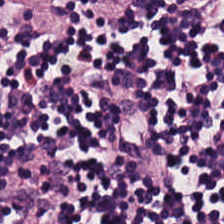H&E · whole-slide-image patch · 224×224 px tile — The classification is lymphoid infiltrate.
